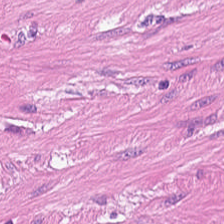H&E.
Histology → muscularis.
